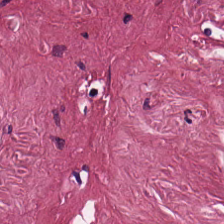Stain: H&E.
Tissue class: desmoplastic stroma.
